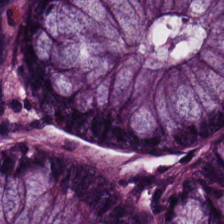FFPE · hematoxylin-and-eosin stained section · 224×224 px tile — Non-neoplastic colon mucosa.
